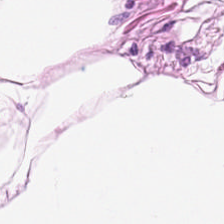20× equivalent magnification; FFPE tissue section; H&E stain. Adipose.
